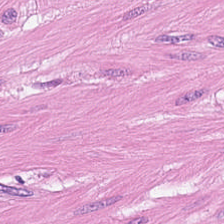Hematoxylin and eosin — The tissue here is muscularis.
